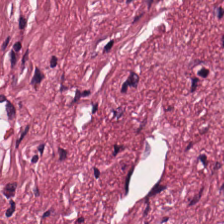Hematoxylin and eosin. {"tissue_type": "tumor stroma"}
